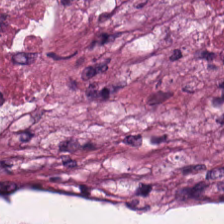Q: What tissue type is shown here?
A: This is debris.
